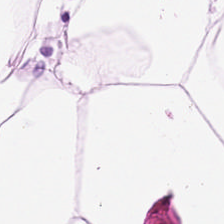Hematoxylin and eosin. The tissue here is adipose.
